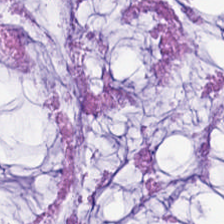Hematoxylin-and-eosin stained section · formalin-fixed paraffin-embedded section · 224×224 px tile. Predominantly mucin.
